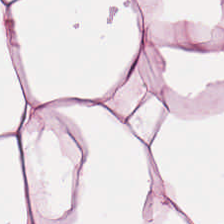H&E-stained tissue section. Predominantly adipose tissue.
